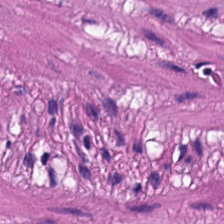FFPE tissue section · H&E-stained tissue section — The tissue here is smooth muscle.
